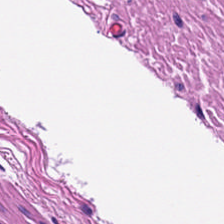Hematoxylin-and-eosin stained section; 224×224 pixel tile; brightfield microscopy.
Predominantly smooth-muscle tissue.
